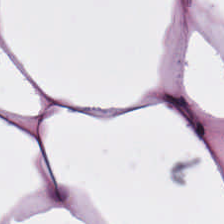Stain: hematoxylin and eosin.
Tissue type: fat tissue.
